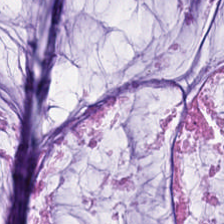H&E — Tissue = mucus.
